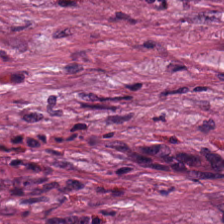Brightfield. Hematoxylin and eosin — The tissue class is desmoplastic stroma.
